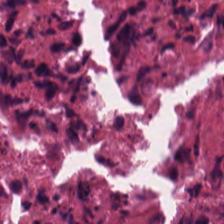H&E stain; FFPE tissue section.
Debris.
